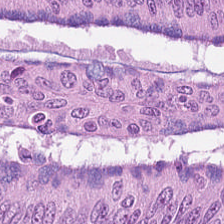Whole-slide-image patch; 20× equivalent magnification; H&E stain. Q: What tissue is shown?
A: This is malignant epithelium.
